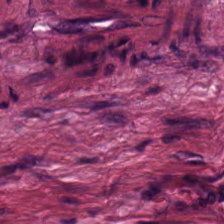H&E stain.
Tissue type — desmoplastic stroma.
